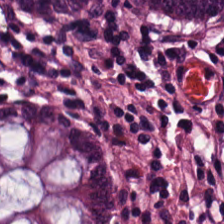H&E-stained tissue section — The tissue type is normal colonic mucosa.
